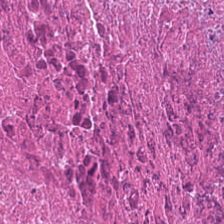224×224 pixel tile. H&E stain. FFPE tissue section.
Showing necrotic debris.
